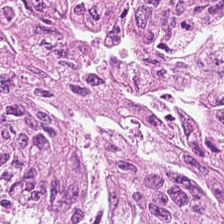Stain: H&E stain.
Acquisition: brightfield.
Classification: malignant epithelium.
